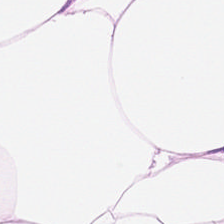Hematoxylin and eosin.
This field is adipose tissue.
